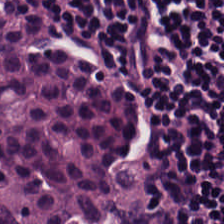Hematoxylin-and-eosin stained section.
Q: What tissue type is shown here?
A: This is lymphocytes.
